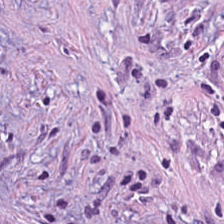Hematoxylin-and-eosin section: cancer-associated stroma.
